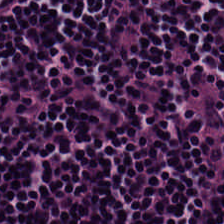H&E stain.
The tissue is lymphocytic infiltrate.
